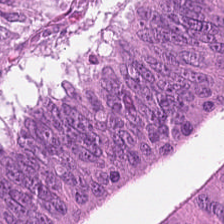Hematoxylin-and-eosin stained section.
The tissue is colorectal adenocarcinoma.
